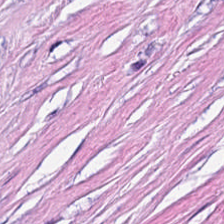Stain: hematoxylin and eosin.
Predominant tissue: tumor stroma.
